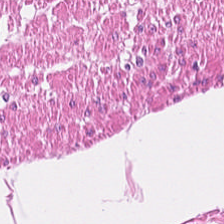Hematoxylin-and-eosin stained section · FFPE · 20× equivalent magnification.
Showing smooth muscle.
